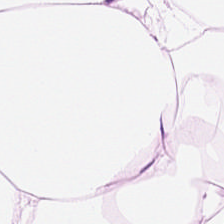Hematoxylin-and-eosin stained section. 0.5 microns per pixel.
The tissue type is fat tissue.
